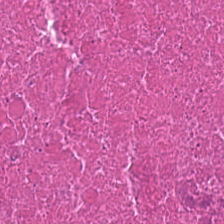Hematoxylin and eosin; brightfield microscopy.
{"tissue_type": "debris"}
